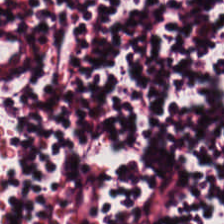The classification is lymphocyte aggregate.
